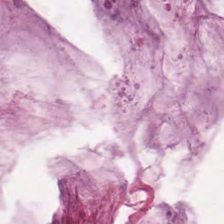H&E stain. Histology → extracellular mucin.
